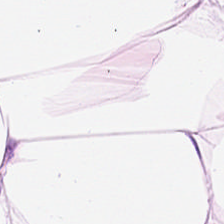H&E stain.
Fat tissue.
